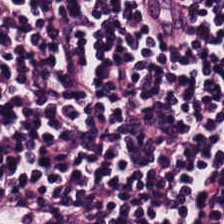Brightfield · hematoxylin and eosin. Impression → lymphoid infiltrate.
